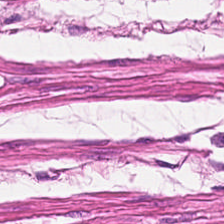Q: What does this patch show?
A: This is muscularis.
